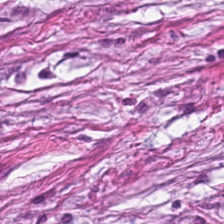H&E-stained tissue section. The classification is tumor stroma.
